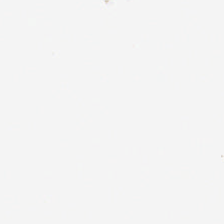No tissue present; background only.
